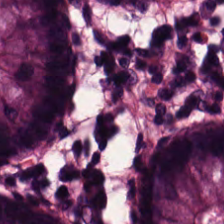H&E. Showing normal colon mucosa.
